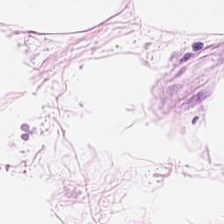H&E — adipose tissue.
